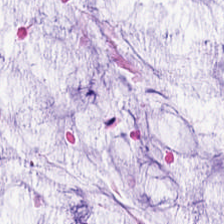0.5 microns per pixel · H&E-stained tissue section — Q: What is the predominant tissue type?
A: It is mucin.
